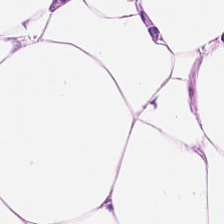Hematoxylin and eosin. Adipocytes.
